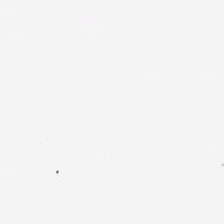H&E. Q: What does this patch show?
A: Background (no tissue).
